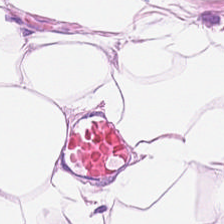H&E — Predominantly fat tissue.
